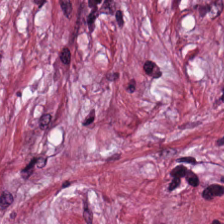Stain: H&E stain.
Resolution: 0.5 µm/px.
Tissue: tumor stroma.
